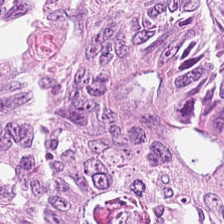H&E stain. Predominantly colorectal adenocarcinoma epithelium.
